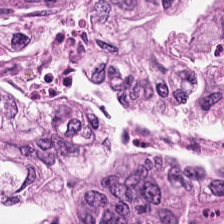Hematoxylin and eosin · FFPE · brightfield — The predominant tissue is colorectal adenocarcinoma.
